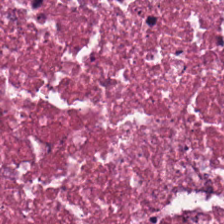Stain: hematoxylin-and-eosin stained section.
Preparation: FFPE tissue section.
Tile size: 224×224 px patch.
Tissue type: cellular debris.
